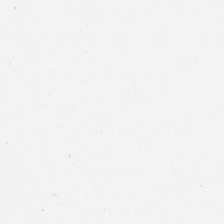H&E-stained tissue section — Field content — empty background.
